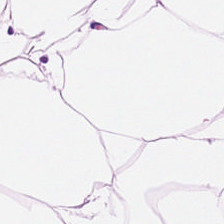Formalin-fixed paraffin-embedded section; hematoxylin and eosin.
Showing fat tissue.
